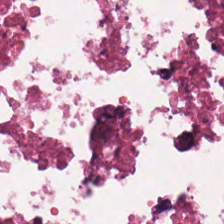This patch shows necrotic debris.
